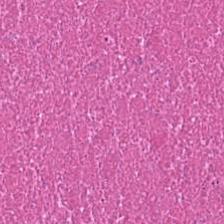H&E — Q: What tissue type is shown here?
A: Necrotic debris.
